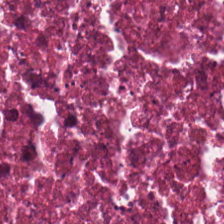Stain: hematoxylin-and-eosin stained section.
Tissue: necrotic debris.
